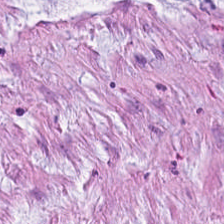Tissue: mucus.
